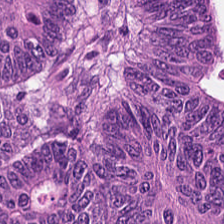Stain: H&E-stained tissue section.
Classification: colorectal adenocarcinoma.
